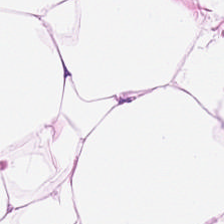0.5 µm/px · H&E-stained tissue section.
This patch shows adipose tissue.
